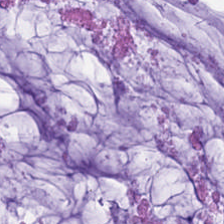Predominant tissue — mucus.
